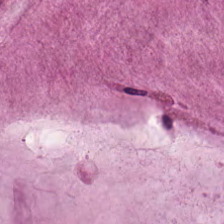This patch shows extracellular mucin.
